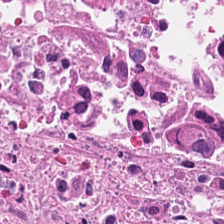Tissue class: necrotic debris.
